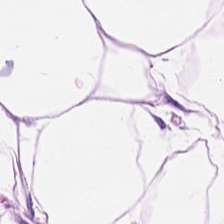Hematoxylin-and-eosin stained section. Impression → adipose.
